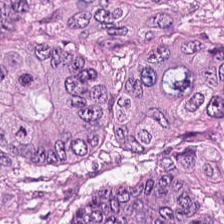H&E stain; 224×224 px tile — Tissue type: colorectal adenocarcinoma epithelium.
